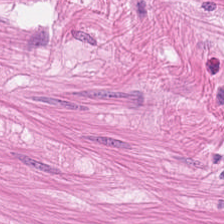H&E · 224×224 px patch · brightfield.
Predominant tissue: smooth muscle.
